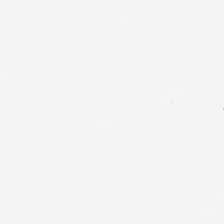H&E-stained tissue section. No tissue.
